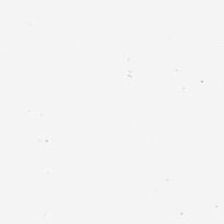H&E — The content is empty background.
